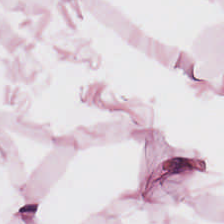H&E stain.
Histology → adipose tissue.
